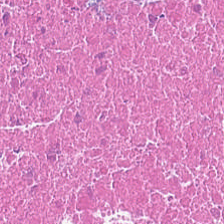Hematoxylin and eosin.
The predominant tissue is necrotic debris.
